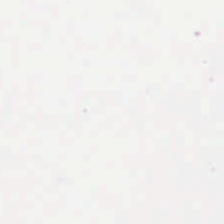H&E; FFPE tissue section; 0.5 µm per pixel.
Classification — no tissue.
